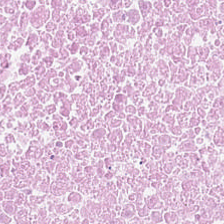Impression → necrotic debris.
